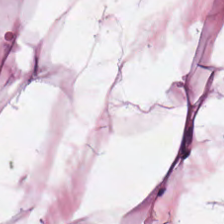Adipose.
